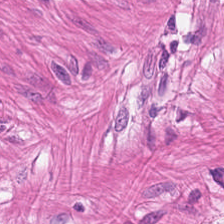224×224 px tile · hematoxylin and eosin.
Showing smooth muscle.
